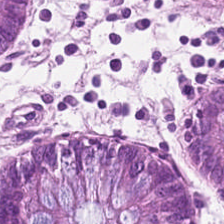This field is non-neoplastic colon mucosa.
